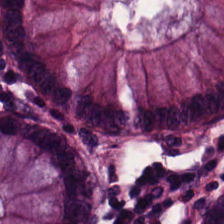Hematoxylin and eosin · 224×224 px tile. The predominant tissue is benign colonic mucosa.
